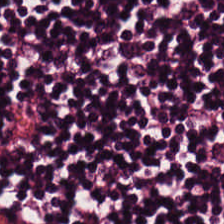H&E stain — Lymphocyte aggregate.
